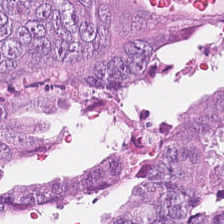Hematoxylin and eosin · 224×224 px tile · WSI patch. This field is colorectal adenocarcinoma.
